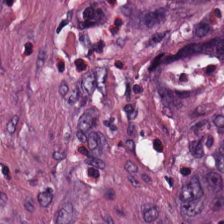Hematoxylin and eosin. Tissue — tumor-associated stroma.
